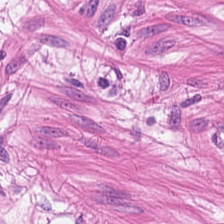{"tissue_type": "muscularis"}
